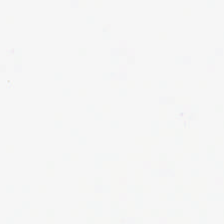Background — no tissue in this field.
